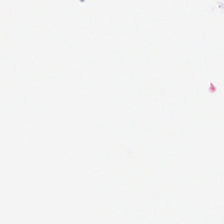This patch shows background (no tissue).
